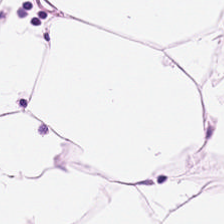{"tissue_type": "adipose"}
